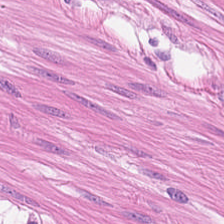This field is smooth-muscle tissue.
